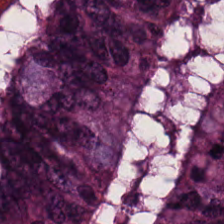The predominant tissue is malignant epithelium.
